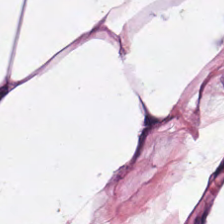H&E-stained tissue section. FFPE tissue section — Adipocytes.
